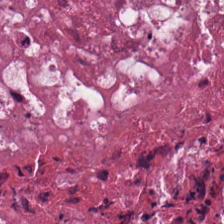224×224 px patch · H&E-stained tissue section.
Q: What is shown here?
A: It is debris.
